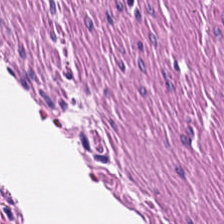Finding → smooth-muscle tissue.
